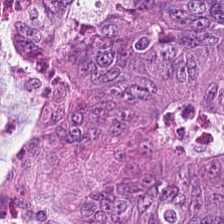The predominant tissue is malignant epithelium.
